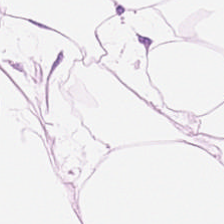Stain: H&E.
Tissue type: adipose tissue.
